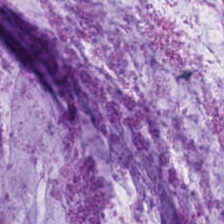H&E-stained section; the field shows mucus.
